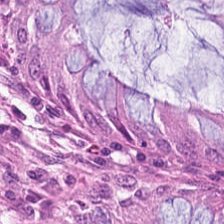Histology → benign colonic mucosa.
